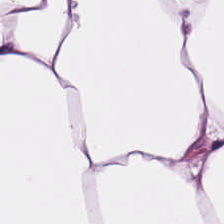H&E stain; 0.5 microns per pixel — Tissue class = fat tissue.
